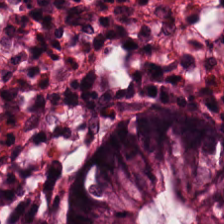H&E. Brightfield — Histology — non-neoplastic colon mucosa.
